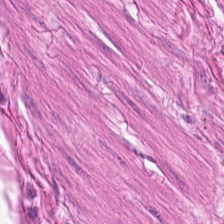FFPE; H&E stain.
Tissue type: smooth-muscle tissue.
